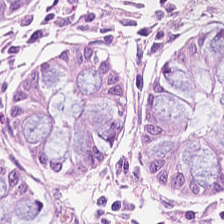Q: What is shown here?
A: It is benign colonic mucosa.
